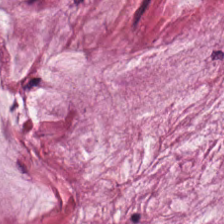H&E-stained tissue section. Impression — mucin.
